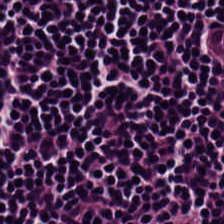Stain: H&E stain.
Preparation: FFPE.
Tissue class: lymphocytic infiltrate.
